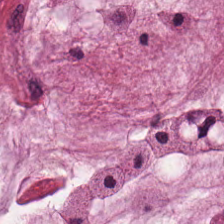This field is extracellular mucin.
